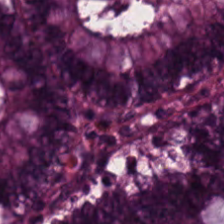H&E stain. 20× equivalent magnification.
Histology → normal colonic mucosa.
